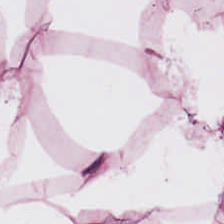H&E stain; brightfield — Q: What is shown in this field?
A: The field shows adipose.
